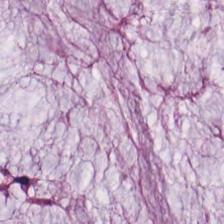H&E-stained tissue section · 224×224 pixel tile · brightfield microscopy — This patch shows extracellular mucin.
